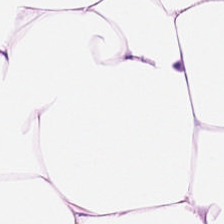H&E-stained tissue section. This patch shows fat tissue.
